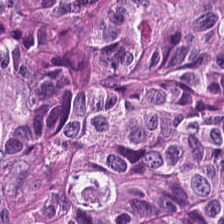FFPE tissue section · hematoxylin and eosin.
Q: Classify this patch.
A: Malignant epithelium.
